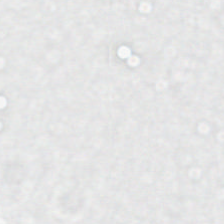Hematoxylin-and-eosin stained section. Formalin-fixed paraffin-embedded section.
This field is background (no tissue).
